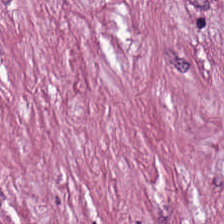Hematoxylin-and-eosin stained section. Tissue class = cancer-associated stroma.
